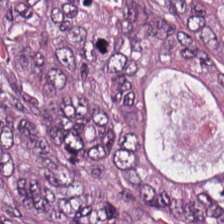Brightfield · hematoxylin and eosin. Predominant tissue: adenocarcinoma.
